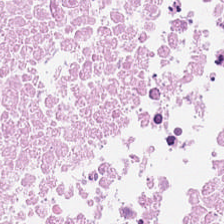FFPE · hematoxylin and eosin · 224×224 pixel tile — {"tissue_type": "necrotic debris"}
